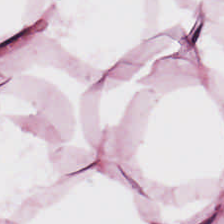H&E stain — Tissue type — adipose.
